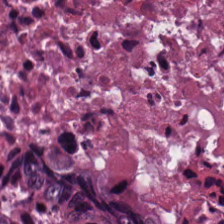Stain: H&E stain.
Preparation: FFPE.
Predominant tissue: necrotic debris.
